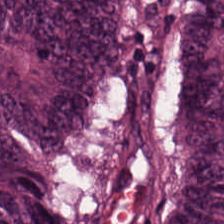Hematoxylin-and-eosin stained section.
This patch shows colorectal adenocarcinoma.
